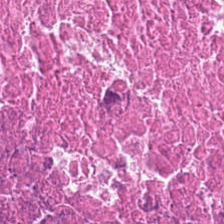Hematoxylin and eosin. Classification — debris.
